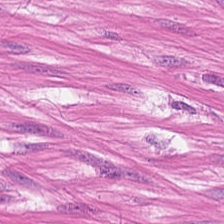224×224 px patch; H&E-stained tissue section — Showing smooth-muscle tissue.
